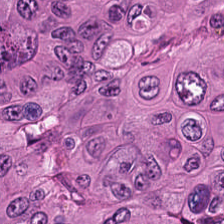Showing adenocarcinoma.
